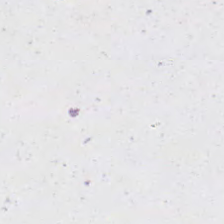Stain: H&E-stained tissue section.
Classification: empty background.
